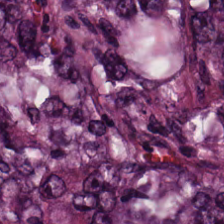0.5 µm per pixel. H&E stain. The classification is tumor epithelium.
